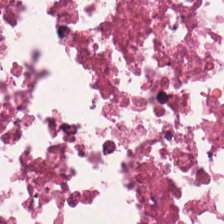224×224 px tile; FFPE; H&E — The predominant tissue is debris.
